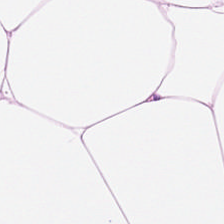Stain: hematoxylin-and-eosin stained section.
Predominant tissue: adipose tissue.
